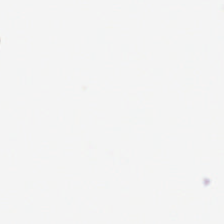H&E stain.
Empty field — empty background.
